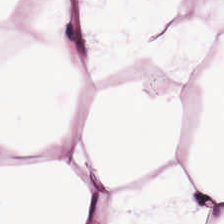H&E-stained tissue section. Showing adipocytes.
